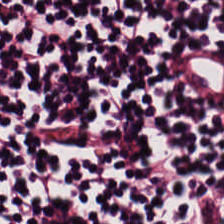Stain: H&E stain.
Tissue class: lymphocyte aggregate.
